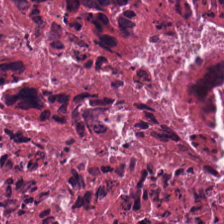Hematoxylin-and-eosin stained section.
The tissue here is debris.
